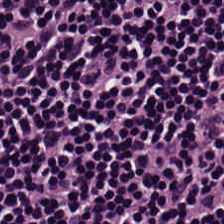224×224 px tile; 0.5 µm per pixel; H&E.
Finding → lymphocytic infiltrate.
